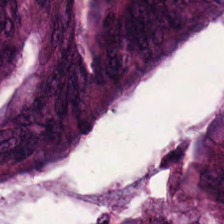Hematoxylin and eosin · 224×224 pixel tile. This field is malignant epithelium.
